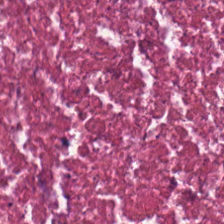Histology — cellular debris.
